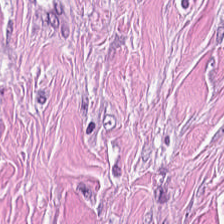H&E. {"tissue_type": "desmoplastic stroma"}
